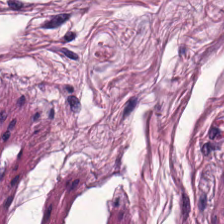Hematoxylin and eosin. Brightfield. Tissue — smooth-muscle tissue.
